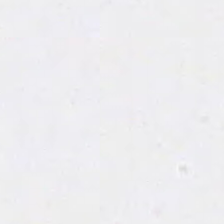H&E-stained tissue section.
Histology → background.
